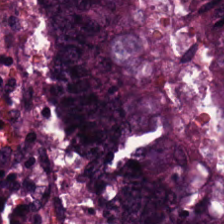Predominantly adenocarcinoma.
